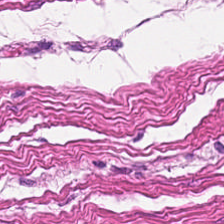0.5 µm/px; H&E stain — Tissue type — muscularis.
